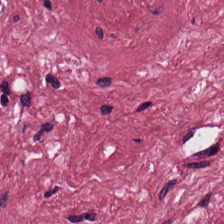H&E-stained tissue section. Tissue type: tumor-associated stroma.
